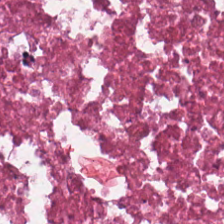Formalin-fixed paraffin-embedded section · H&E-stained tissue section — Q: What is shown here?
A: Necrotic debris.
